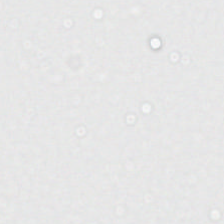Hematoxylin-and-eosin stained section; WSI patch. This field is background (no tissue).
